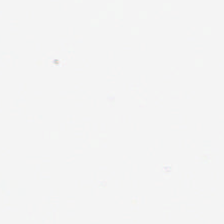Background — no tissue in this field.
